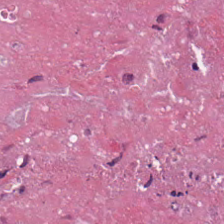Formalin-fixed paraffin-embedded section · 224×224 pixel tile · hematoxylin-and-eosin stained section — Q: What does this patch show?
A: It is necrotic debris.
